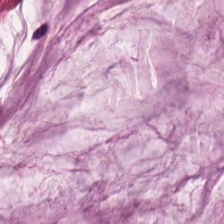WSI patch · H&E stain · 224×224 px patch. Impression — extracellular mucin.
